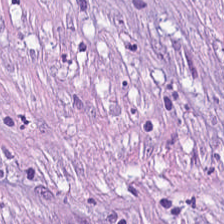The tissue here is cancer-associated stroma.
